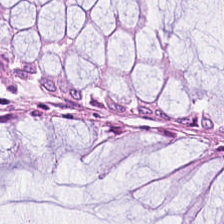Brightfield microscopy. 224×224 px tile. H&E-stained tissue section.
This patch shows normal colon mucosa.
